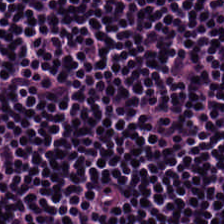Hematoxylin-and-eosin stained section. Impression → lymphoid infiltrate.
